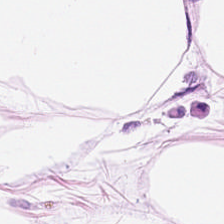0.5 microns per pixel · hematoxylin-and-eosin stained section — This patch shows adipose tissue.
